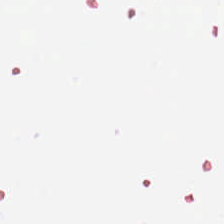Finding — background.
